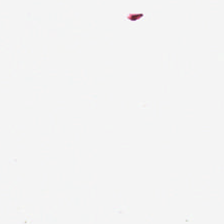Hematoxylin-and-eosin stained section. Histology → empty background.
